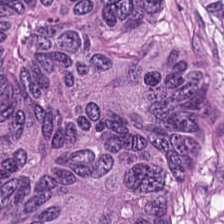Hematoxylin and eosin · brightfield microscopy.
Tissue = colorectal adenocarcinoma epithelium.
